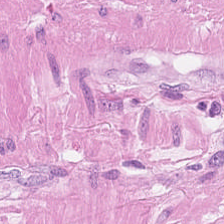Histology → smooth-muscle tissue.
